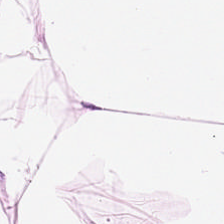Stain: H&E-stained tissue section.
Predominant tissue: adipocytes.
